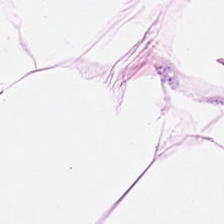224×224 pixel tile; H&E. Predominantly adipose tissue.
